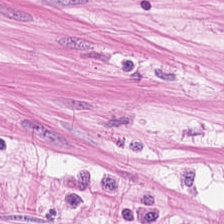Hematoxylin-and-eosin stained section.
Impression — smooth-muscle tissue.
